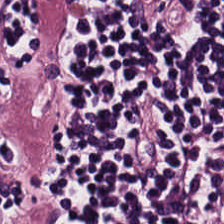H&E stain; 20× equivalent magnification — Predominant tissue — lymphocyte aggregate.
